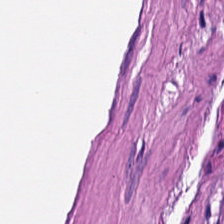Hematoxylin and eosin — Tissue type — smooth muscle.
